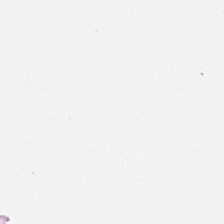Brightfield; H&E-stained tissue section. Q: What is shown in this field?
A: Empty background.
